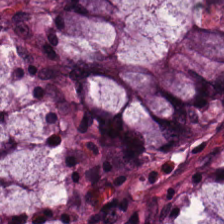H&E. Benign colonic mucosa.
